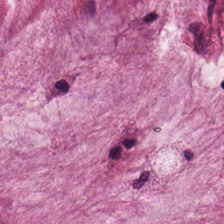H&E stain; FFPE. Showing mucin.
